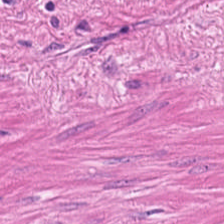Hematoxylin and eosin.
This field is smooth muscle.
